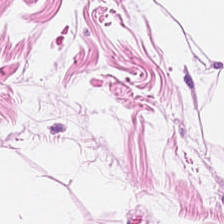H&E stain.
Predominant tissue = fat tissue.
